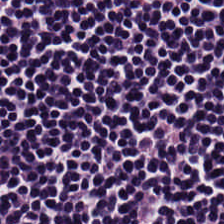H&E stain. Q: What tissue is shown?
A: The field shows lymphocytes.
